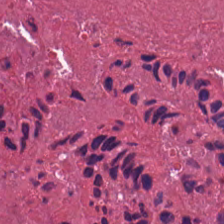H&E.
The tissue here is necrotic debris.
